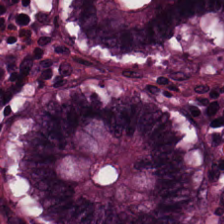Hematoxylin-and-eosin stained section. Q: What type of tissue is this?
A: Non-neoplastic colon mucosa.
